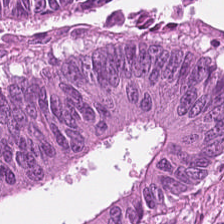Colorectal adenocarcinoma epithelium.
